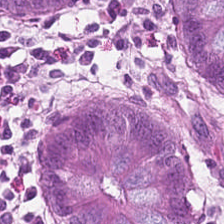Predominantly benign colonic mucosa.
